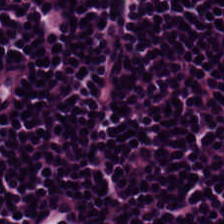Finding → lymphoid infiltrate.
